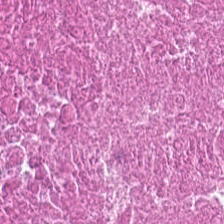Hematoxylin-and-eosin stained section.
Predominant tissue: necrotic debris.
